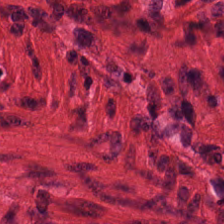H&E. 224×224 px tile.
Histology — smooth muscle.
